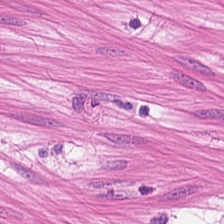WSI patch · 224×224 px patch · H&E stain — Predominantly muscularis.
